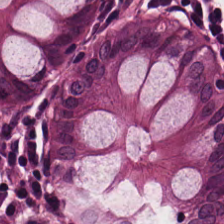Hematoxylin-and-eosin stained section; brightfield; 224×224 px patch — This field is normal colonic mucosa.
